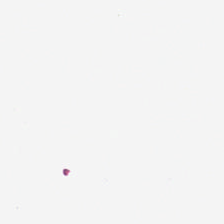Stain: hematoxylin and eosin.
Content: background (no tissue).
